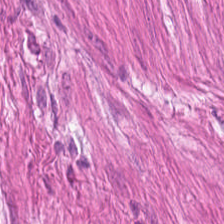H&E.
Showing smooth-muscle tissue.
